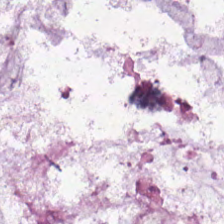Hematoxylin and eosin; 224×224 px tile; formalin-fixed paraffin-embedded section — Mucus.
